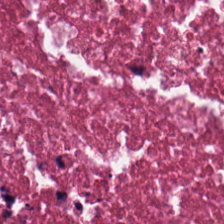Hematoxylin and eosin.
Impression — necrotic debris.
